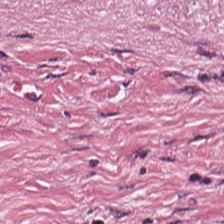Hematoxylin-and-eosin stained section. Predominantly tumor stroma.
